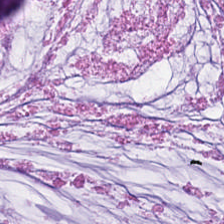Predominantly mucin.
